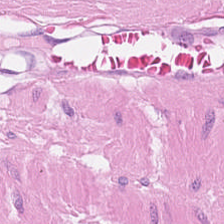Stain: hematoxylin-and-eosin stained section.
Acquisition: whole-slide-image patch.
Tissue: smooth-muscle tissue.
